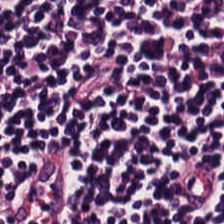H&E stain.
Lymphoid infiltrate.
